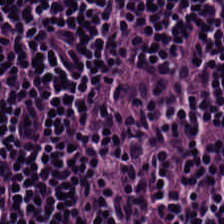Stain: H&E.
Tissue: lymphocyte aggregate.
